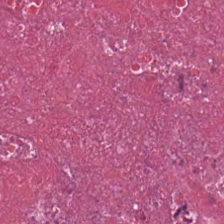H&E stain. Histology — debris.
